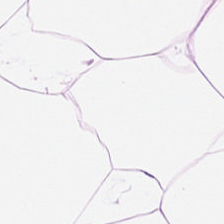224×224 px tile. H&E-stained tissue section.
{"tissue_type": "fat tissue"}
